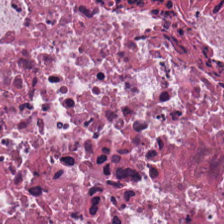H&E. Showing necrotic debris.
